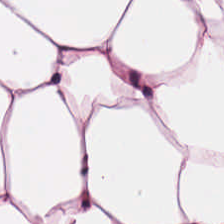Stain: hematoxylin and eosin.
Tile size: 224×224 px patch.
Acquisition: brightfield microscopy.
Tissue: adipocytes.
